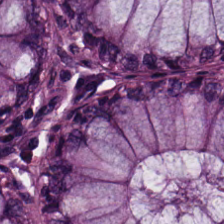Hematoxylin and eosin · FFPE tissue section.
Tissue: non-neoplastic colon mucosa.
